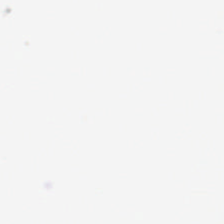Brightfield microscopy; H&E stain.
Q: What does this patch show?
A: This is no tissue.
